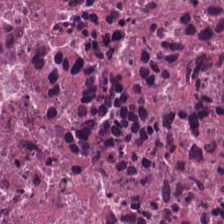Formalin-fixed paraffin-embedded section; H&E stain — Necrotic debris.
